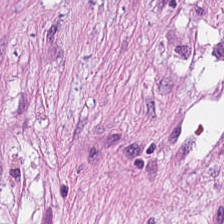H&E stain — The classification is desmoplastic stroma.
